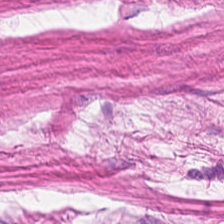This patch shows smooth-muscle tissue.
